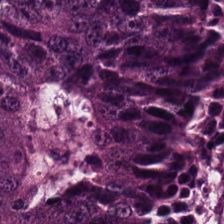Hematoxylin and eosin.
Tissue class: tumor epithelium.
